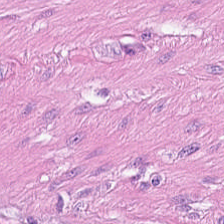Showing smooth muscle.
